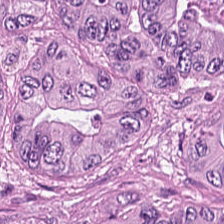This patch shows adenocarcinoma.
